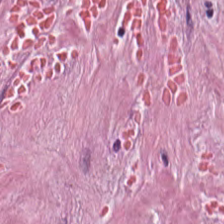20× equivalent magnification · H&E stain. Classification = tumor stroma.
